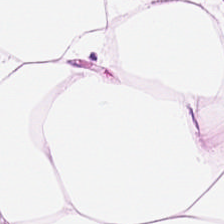H&E stain · brightfield — This patch shows adipocytes.
